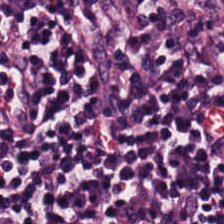Finding — lymphocyte aggregate.
